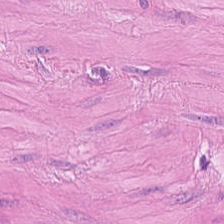Stain: H&E-stained tissue section.
Preparation: FFPE tissue section.
Tissue: smooth-muscle tissue.
